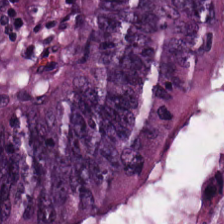224×224 px tile. H&E stain. WSI patch. The predominant tissue is adenocarcinoma.
